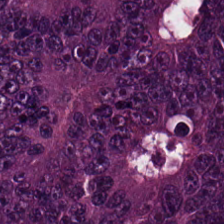Stain: H&E.
Acquisition: brightfield.
Resolution: 0.5 µm/px.
Predominant tissue: malignant epithelium.
